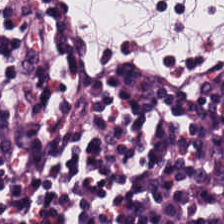H&E-stained tissue section showing lymphocytes.
